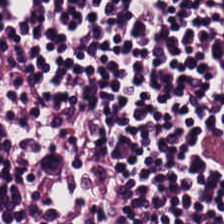Stain: hematoxylin-and-eosin stained section.
Tissue: lymphoid infiltrate.
